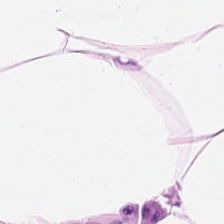Formalin-fixed paraffin-embedded section; H&E stain — This field is adipose.
